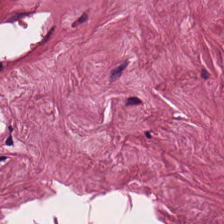H&E-stained tissue section.
The predominant tissue is tumor stroma.
